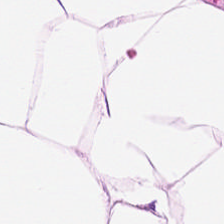Stain: H&E-stained tissue section.
Classification: adipocytes.
